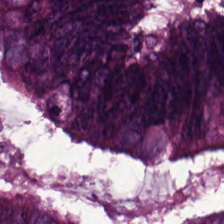Stain: hematoxylin-and-eosin stained section.
Resolution: 20× equivalent magnification.
Tissue class: colorectal adenocarcinoma epithelium.
